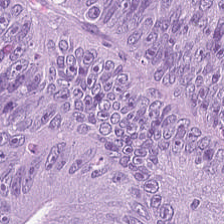H&E — Tissue — colorectal adenocarcinoma epithelium.
